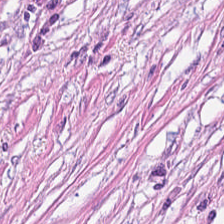Stain: hematoxylin-and-eosin stained section.
Tissue: cancer-associated stroma.
